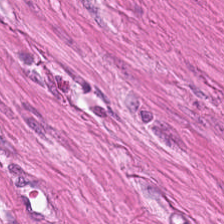Stain: hematoxylin and eosin.
Tissue type: smooth-muscle tissue.
